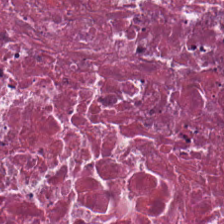FFPE · hematoxylin-and-eosin stained section · 0.5 µm/px.
Tissue type: cellular debris.
